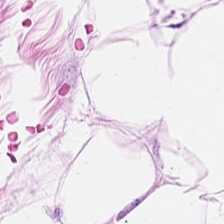Q: What is shown in this field?
A: The field shows fat tissue.
